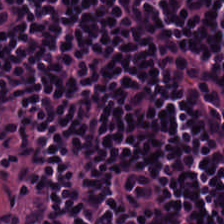224×224 px tile; hematoxylin-and-eosin stained section. The predominant tissue is lymphocytic infiltrate.
